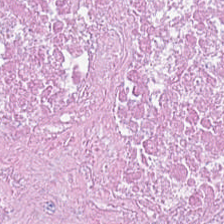H&E · 0.5 microns per pixel. Predominantly necrotic debris.
